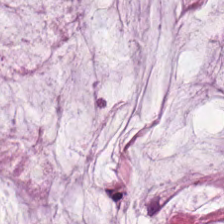Predominantly mucin.
